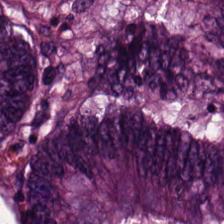H&E-stained tissue section · 0.5 microns per pixel. Q: What tissue is shown?
A: Colorectal adenocarcinoma epithelium.
